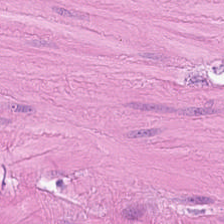Classification: muscularis.
